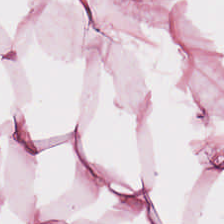Brightfield microscopy; H&E; 224×224 px tile — Predominantly fat tissue.
